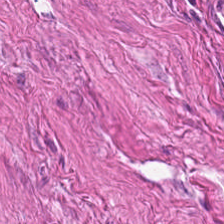0.5 µm/px. H&E stain — Impression — muscularis.
